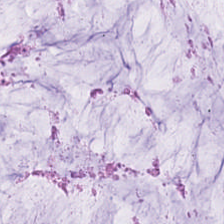H&E stain — This patch shows mucus.
